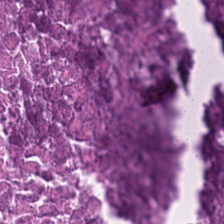FFPE tissue section · H&E stain · 20× equivalent magnification — Tissue class = cellular debris.
